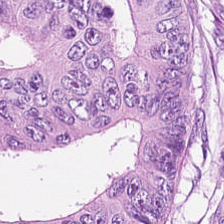H&E-stained tissue section. 224×224 pixel tile — Predominantly adenocarcinoma.
